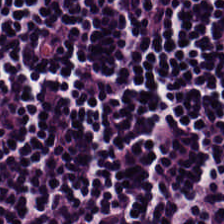Whole-slide-image patch; H&E-stained tissue section; 0.5 µm per pixel — Predominantly lymphocytic infiltrate.
